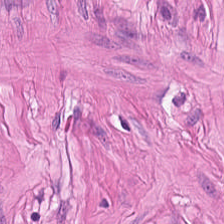Brightfield microscopy · H&E.
Classification — smooth-muscle tissue.
